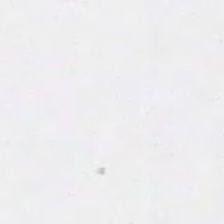Stain: hematoxylin-and-eosin stained section.
Classification: empty background.
